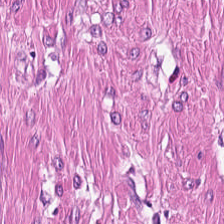0.5 µm per pixel · H&E-stained tissue section · 224×224 pixel tile.
Q: Classify this patch.
A: This is smooth-muscle tissue.
